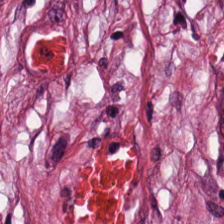The predominant tissue is tumor stroma.
